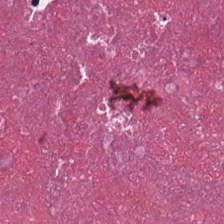H&E stain · 224×224 px patch. Tissue = cellular debris.
